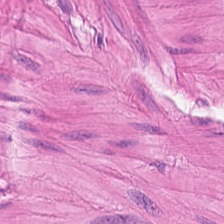{"tissue_type": "muscularis"}
